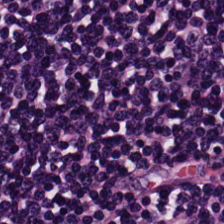H&E stain · FFPE tissue section. The tissue here is lymphocytes.
